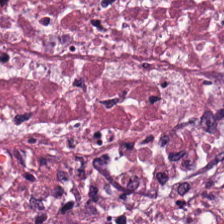H&E. Whole-slide-image patch — {"tissue_type": "cellular debris"}
